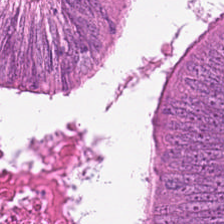Whole-slide-image patch. 20× equivalent magnification. Hematoxylin and eosin — Q: What tissue type is shown here?
A: The field shows colorectal adenocarcinoma epithelium.
